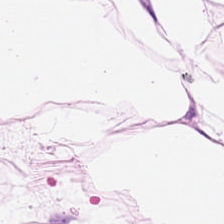H&E-stained tissue section. FFPE. 224×224 pixel tile — {"tissue_type": "fat tissue"}
